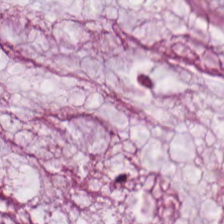Hematoxylin and eosin. Brightfield microscopy — This field is extracellular mucin.
